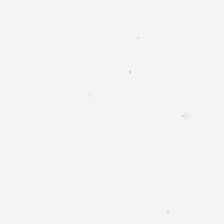Stain: H&E-stained tissue section.
Content: background (no tissue).
